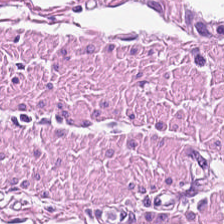H&E-stained tissue section — Smooth-muscle tissue.
